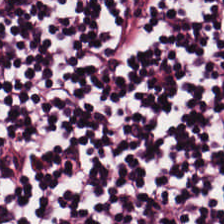Lymphocytic infiltrate.
